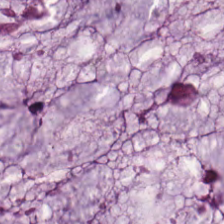FFPE. H&E.
Histology → mucin.
